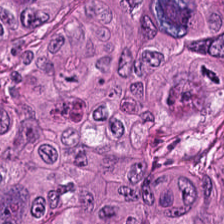Hematoxylin and eosin.
Tissue type = tumor epithelium.
